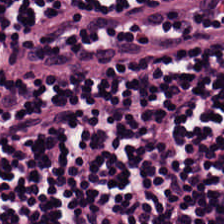The tissue here is lymphocytes.
